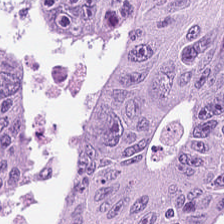Q: What tissue is shown?
A: It is malignant epithelium.
